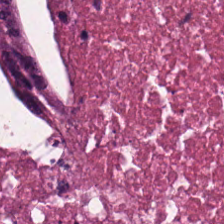224×224 px tile. 0.5 µm per pixel. Hematoxylin and eosin — Showing debris.
